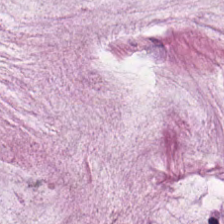Finding → extracellular mucin.
